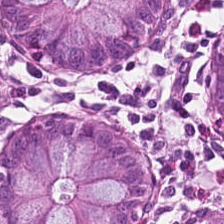Hematoxylin-and-eosin stained section. Predominantly benign colonic mucosa.
